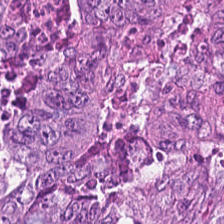Predominant tissue — colorectal adenocarcinoma epithelium.
